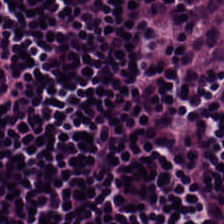H&E-stained tissue section · 224×224 px patch. This field is lymphocytic infiltrate.
